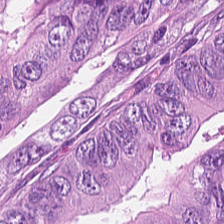Stain: H&E-stained tissue section.
Tissue type: colorectal adenocarcinoma.
